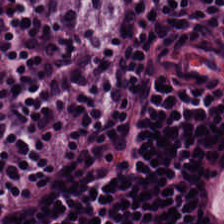H&E · 0.5 µm/px.
Tissue: lymphocyte aggregate.
